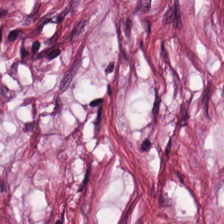Stain: H&E.
Tile size: 224×224 pixel tile.
Resolution: 0.5 µm per pixel.
Tissue type: desmoplastic stroma.
